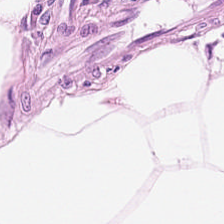H&E-stained tissue section.
This field is fat tissue.
